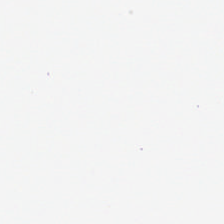H&E-stained tissue section.
The classification is no tissue.
